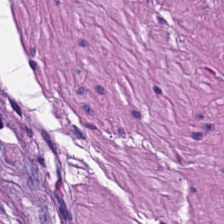Tissue class: smooth-muscle tissue.
